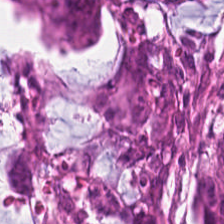Stain: hematoxylin-and-eosin stained section.
Acquisition: whole-slide-image patch.
Predominant tissue: tumor epithelium.
